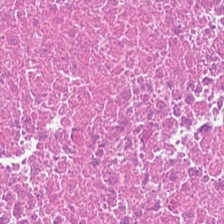H&E-stained tissue section.
Tissue class — cellular debris.
